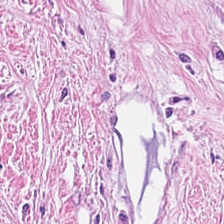Hematoxylin-and-eosin stained section.
Predominant tissue = tumor stroma.
